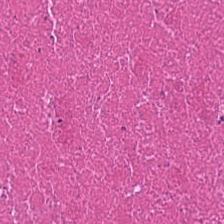Hematoxylin-and-eosin stained section.
Q: What is shown in this field?
A: Debris.
